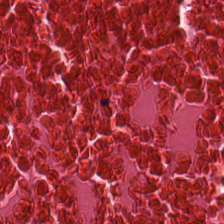FFPE. H&E stain. 224×224 px tile.
Predominantly cellular debris.
